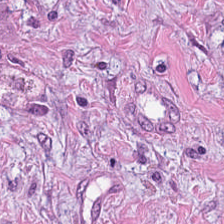Whole-slide-image patch; H&E. Q: What is the predominant tissue type?
A: Tumor stroma.
